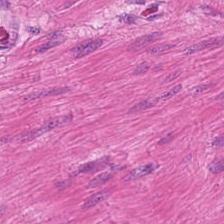Tissue class = smooth-muscle tissue.
